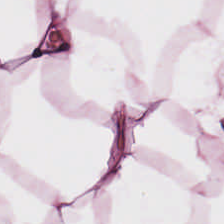Formalin-fixed paraffin-embedded section. Hematoxylin-and-eosin stained section. Brightfield microscopy.
Impression → fat tissue.
